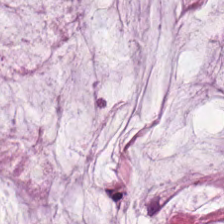H&E stain; whole-slide-image patch — This field is mucus.
